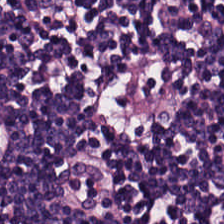H&E. The tissue here is lymphoid infiltrate.
